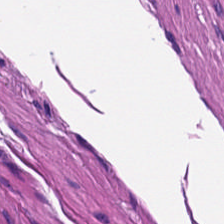FFPE tissue section. 20× equivalent magnification. H&E.
Q: What is shown here?
A: It is smooth muscle.
